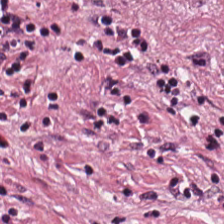Hematoxylin and eosin. 224×224 pixel tile. Formalin-fixed paraffin-embedded section — Impression → cancer-associated stroma.
